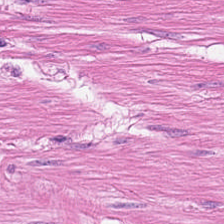H&E-stained tissue section. Formalin-fixed paraffin-embedded section — Q: What is shown here?
A: Smooth-muscle tissue.
